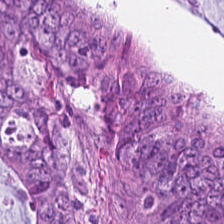Hematoxylin and eosin — Predominant tissue — tumor epithelium.
